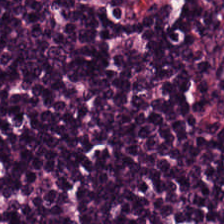Stain: H&E-stained tissue section.
Acquisition: whole-slide-image patch.
Tissue class: lymphoid infiltrate.
